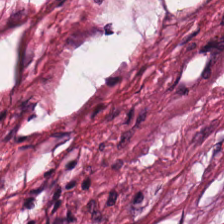Predominantly desmoplastic stroma.
